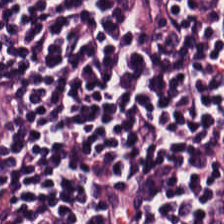Hematoxylin-and-eosin stained section.
Tissue — lymphoid infiltrate.
